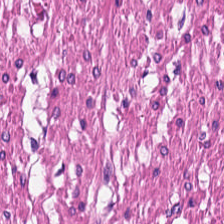H&E stain — Showing muscularis.
